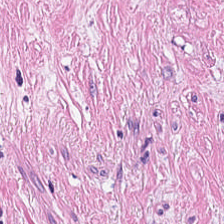Hematoxylin-and-eosin stained section — The predominant tissue is desmoplastic stroma.
